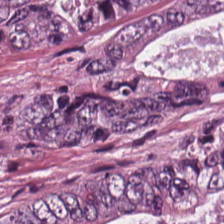Hematoxylin-and-eosin stained section.
The tissue type is tumor epithelium.
